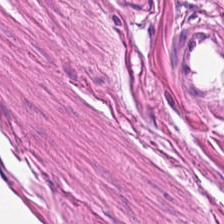H&E-stained tissue section — Predominant tissue: smooth-muscle tissue.
